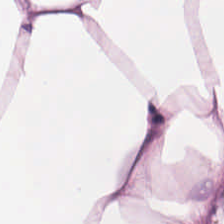H&E-stained section; the field shows adipocytes.
